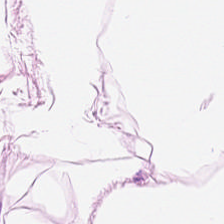Hematoxylin-and-eosin stained section — Tissue class — adipose.
